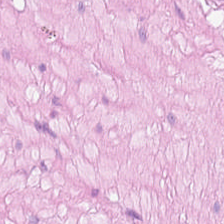H&E-stained tissue section.
The predominant tissue is muscularis.
